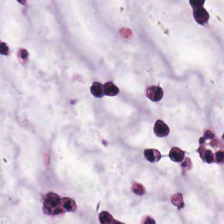Brightfield microscopy. Hematoxylin and eosin — Tissue class — mucus.
